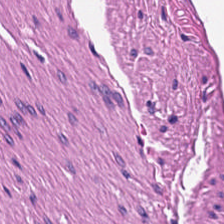Hematoxylin-and-eosin stained section · FFPE tissue section · 224×224 px tile — This patch shows smooth-muscle tissue.
